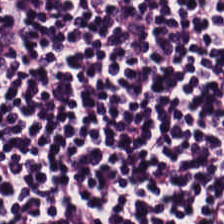H&E stain. Formalin-fixed paraffin-embedded section.
Showing lymphoid infiltrate.
